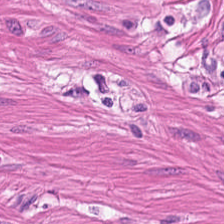Hematoxylin and eosin; 224×224 pixel tile.
Tissue = smooth-muscle tissue.
